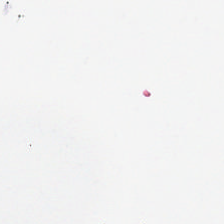H&E. Classification: background.
